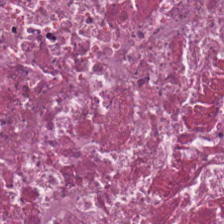H&E.
This field is cellular debris.
